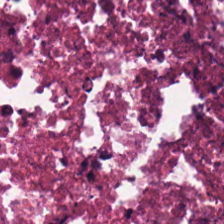The classification is debris.
